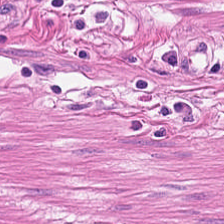H&E — Q: What is the predominant tissue type?
A: It is muscularis.
